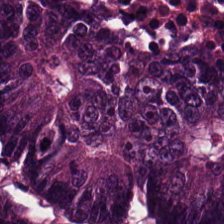Q: What is shown in this field?
A: It is malignant epithelium.
